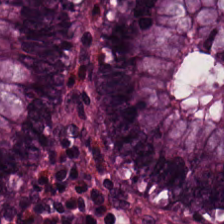Q: What tissue is shown?
A: It is normal colonic mucosa.
